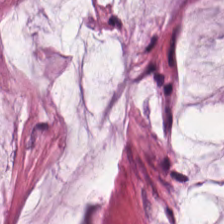FFPE · hematoxylin-and-eosin stained section · brightfield. This field is mucus.
